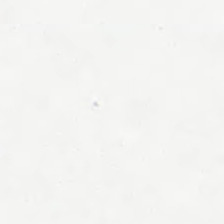Whole-slide-image patch; 20× equivalent magnification; H&E-stained tissue section — Empty field — empty background.
